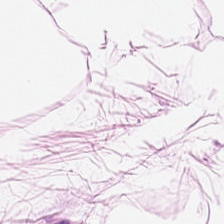Tissue type = adipocytes.
